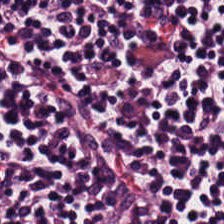H&E-stained tissue section — The tissue here is lymphocytic infiltrate.
